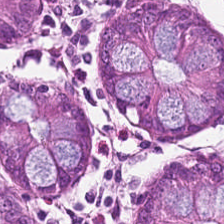Q: What is the predominant tissue type?
A: The field shows benign colonic mucosa.
